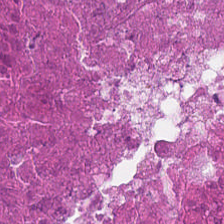H&E. This patch shows necrotic debris.
